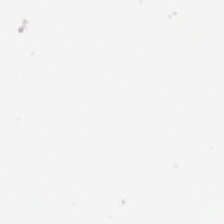Formalin-fixed paraffin-embedded section. Brightfield. H&E. Field content — empty background.
